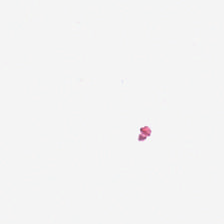Background — no tissue in this field.
